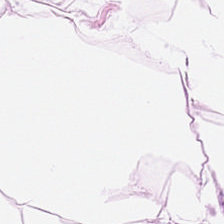224×224 pixel tile; formalin-fixed paraffin-embedded section; H&E-stained tissue section.
Predominantly adipose tissue.
